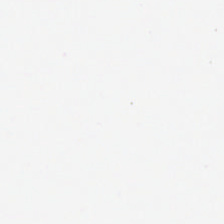Hematoxylin and eosin — Background — no tissue in this field.
